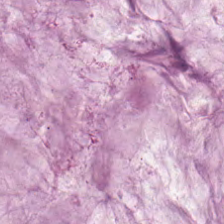0.5 µm/px. H&E-stained tissue section — This field is mucin.
